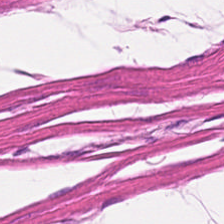Hematoxylin and eosin — The tissue here is smooth muscle.
